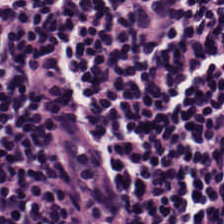FFPE tissue section · hematoxylin and eosin — Q: What is the predominant tissue type?
A: The field shows lymphocyte aggregate.
